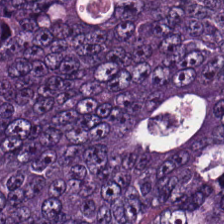H&E stain.
Predominant tissue: colorectal adenocarcinoma.
